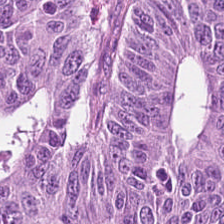Hematoxylin and eosin · FFPE · WSI patch — {"tissue_type": "tumor epithelium"}
